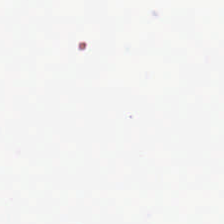0.5 µm per pixel. Hematoxylin-and-eosin stained section. Q: Classify this patch.
A: No tissue.
